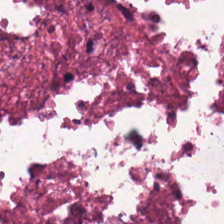H&E-stained tissue section · brightfield microscopy.
Q: What tissue is shown?
A: It is cellular debris.
